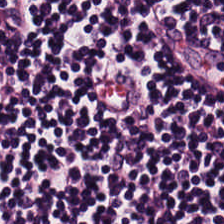Brightfield; H&E-stained tissue section. The predominant tissue is lymphoid infiltrate.
